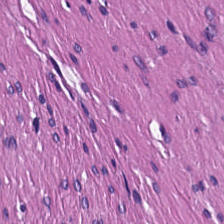H&E-stained tissue section. 224×224 px tile.
Q: What tissue is shown?
A: Smooth muscle.
